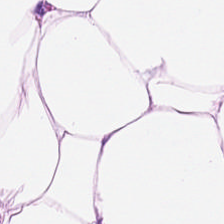0.5 µm per pixel · WSI patch · hematoxylin and eosin.
Tissue type — adipose tissue.
